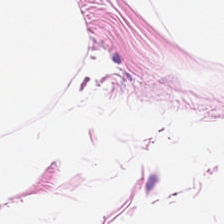Predominantly fat tissue.
